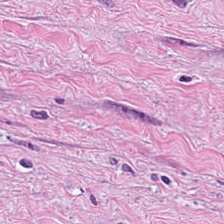Hematoxylin and eosin · FFPE tissue section. Q: What is shown here?
A: It is tumor stroma.
